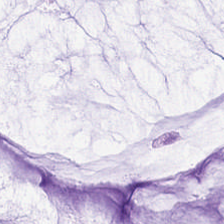0.5 µm/px; H&E. Impression — mucus.
